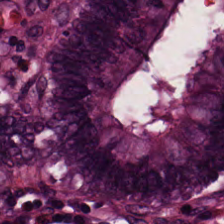H&E-stained tissue section showing normal colonic mucosa.
